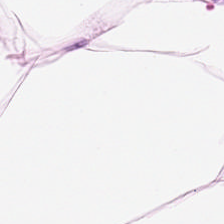Hematoxylin and eosin. Finding → adipose.
